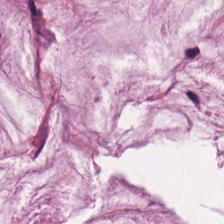H&E-stained tissue section. The tissue is mucus.
